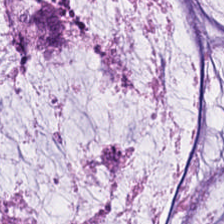H&E. 20× equivalent magnification.
Q: What tissue is shown?
A: Mucus.
